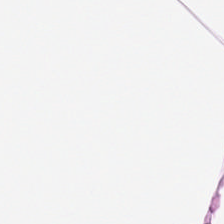H&E stain — Histology → fat tissue.
